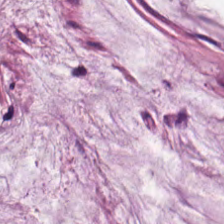Stain: H&E-stained tissue section.
Classification: extracellular mucin.
